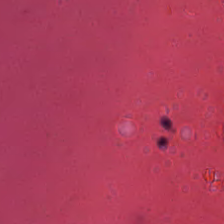Stain: hematoxylin-and-eosin stained section.
Tile size: 224×224 px tile.
Classification: debris.
